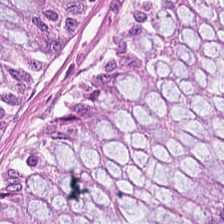H&E. Whole-slide-image patch. 224×224 px patch — This patch shows benign colonic mucosa.
